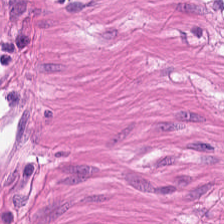H&E stain. Classification: smooth muscle.
